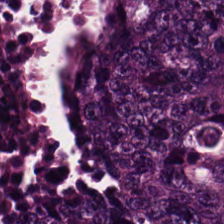H&E — {"tissue_type": "tumor epithelium"}
